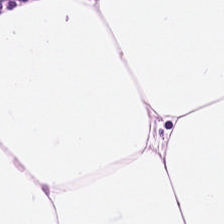H&E.
Tissue class: fat tissue.
